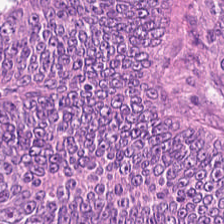Predominant tissue = tumor epithelium.
